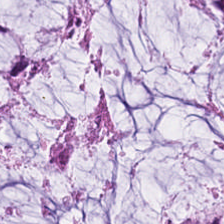Hematoxylin-and-eosin section: mucus.
